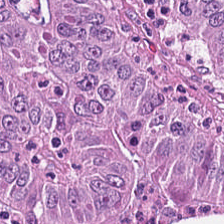Hematoxylin-and-eosin stained section. The predominant tissue is tumor epithelium.
